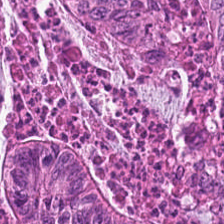Stain: hematoxylin and eosin.
Tissue type: adenocarcinoma.
